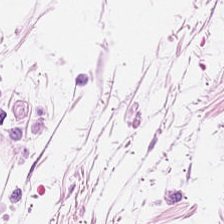H&E stain.
Predominantly adipocytes.
